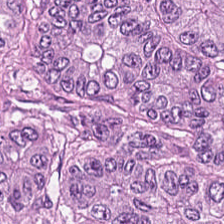Q: What tissue type is shown here?
A: Malignant epithelium.
